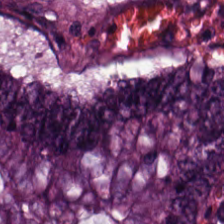H&E stain.
Q: Classify this patch.
A: Colorectal adenocarcinoma epithelium.
